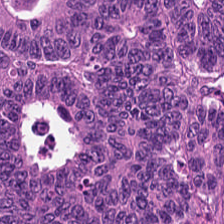0.5 µm/px. Hematoxylin and eosin.
The tissue here is malignant epithelium.
